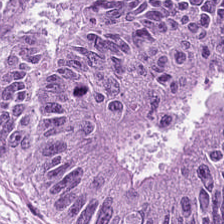Formalin-fixed paraffin-embedded section. Hematoxylin and eosin.
Predominant tissue: malignant epithelium.
